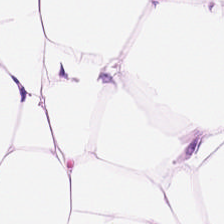224×224 px patch. H&E-stained tissue section. 0.5 microns per pixel. Tissue = adipocytes.
